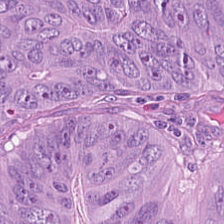Q: What tissue type is shown here?
A: This is tumor epithelium.
